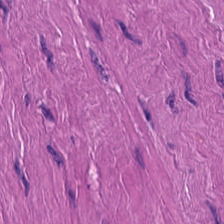Hematoxylin-and-eosin stained section. Tissue class: smooth-muscle tissue.
